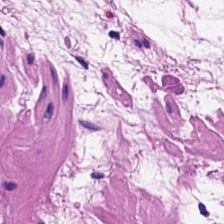224×224 px tile; H&E stain; 0.5 µm/px. Impression → smooth-muscle tissue.
